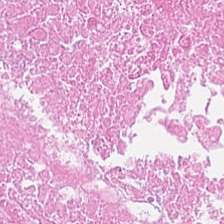Hematoxylin and eosin. WSI patch — This patch shows necrotic debris.
